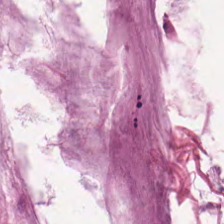Mucus.
